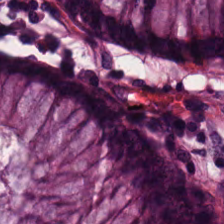FFPE; hematoxylin-and-eosin stained section. Q: What does this patch show?
A: The field shows non-neoplastic colon mucosa.
